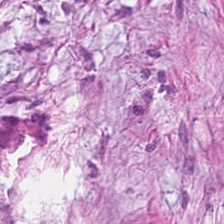This field is tumor stroma.
